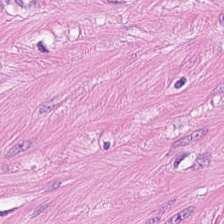Stain: hematoxylin and eosin.
Classification: smooth muscle.
